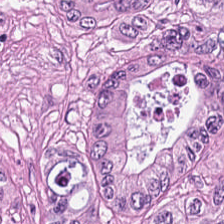224×224 px patch; H&E-stained tissue section. {"tissue_type": "colorectal adenocarcinoma"}
